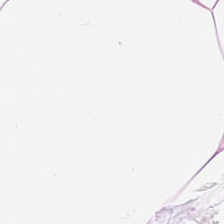Stain: H&E-stained tissue section.
Tissue: adipocytes.
